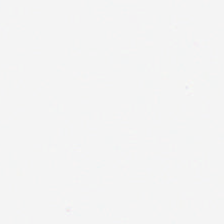H&E-stained tissue section. Background — no tissue in this field.
